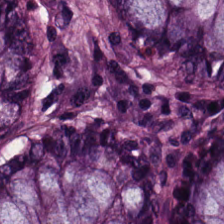The tissue here is normal colon mucosa.
